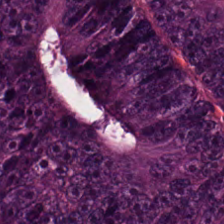Stain: H&E-stained tissue section.
Acquisition: WSI patch.
Tissue: malignant epithelium.
